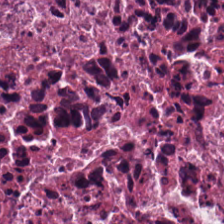H&E patch showing cellular debris.
